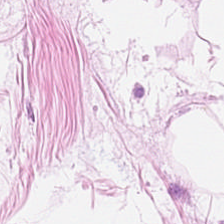Stain: hematoxylin-and-eosin stained section.
Preparation: FFPE tissue section.
Resolution: 0.5 µm per pixel.
Classification: fat tissue.
